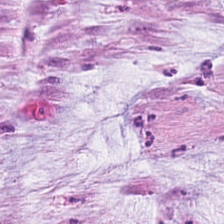224×224 pixel tile. Hematoxylin-and-eosin stained section. Finding — extracellular mucin.
